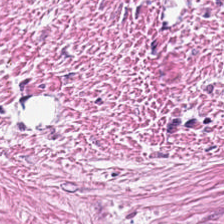224×224 pixel tile · H&E stain — This field is desmoplastic stroma.
